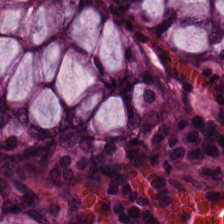Brightfield · hematoxylin-and-eosin stained section · 224×224 px tile. Predominant tissue = normal colonic mucosa.
